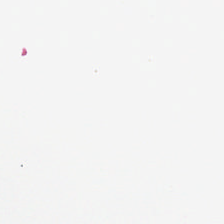H&E stain. The classification is background.
